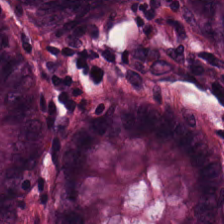Stain: hematoxylin and eosin.
Resolution: 20× equivalent magnification.
Tissue class: normal colon mucosa.
